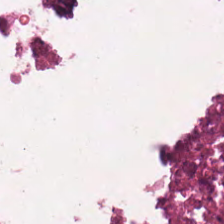224×224 pixel tile. Brightfield microscopy. H&E.
Predominantly cellular debris.
